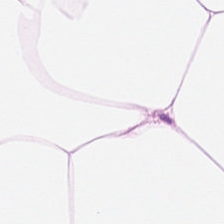Hematoxylin-and-eosin stained section · formalin-fixed paraffin-embedded section — Q: What does this patch show?
A: Fat tissue.
